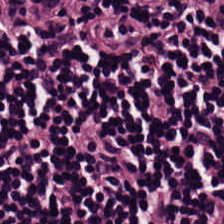H&E.
Predominant tissue — lymphocytic infiltrate.
